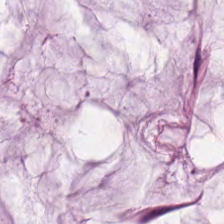H&E stain. Tissue: mucin.
